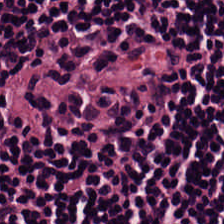Hematoxylin and eosin — Predominant tissue — lymphocytic infiltrate.
